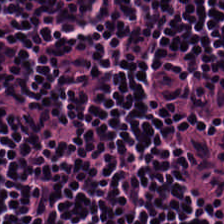0.5 µm/px; H&E. Q: Classify this patch.
A: This is lymphoid infiltrate.
